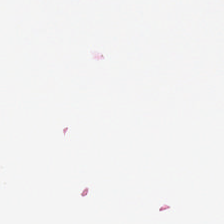Hematoxylin and eosin — No tissue present; background only.
